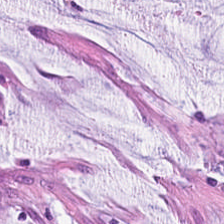Formalin-fixed paraffin-embedded section. 0.5 microns per pixel. Hematoxylin and eosin. Q: What is shown here?
A: This is mucus.
